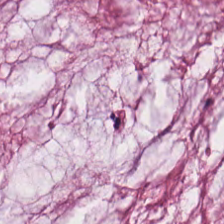H&E stain. The classification is mucin.
